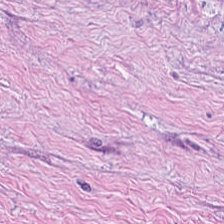0.5 µm/px. H&E — The tissue here is tumor-associated stroma.
